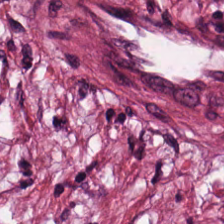Hematoxylin and eosin — The tissue here is desmoplastic stroma.
